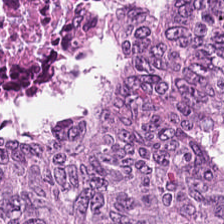Hematoxylin-and-eosin stained section. Tissue type: adenocarcinoma.
